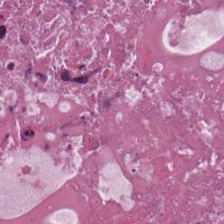Brightfield microscopy; hematoxylin and eosin; 224×224 px patch.
This patch shows debris.
